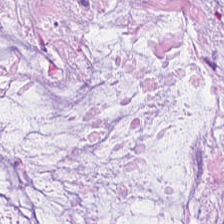H&E stain — Showing mucin.
